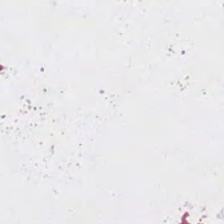Stain: hematoxylin and eosin.
Field content: background (no tissue).
